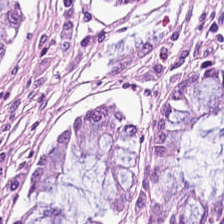224×224 px tile · hematoxylin and eosin.
Predominant tissue: normal colonic mucosa.
